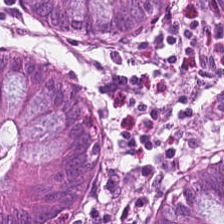FFPE tissue section · hematoxylin-and-eosin stained section.
Predominant tissue: normal colonic mucosa.
